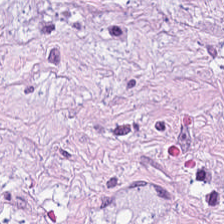H&E; FFPE tissue section. Showing cancer-associated stroma.
